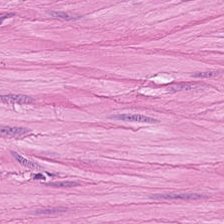Whole-slide-image patch · hematoxylin and eosin. This patch shows smooth-muscle tissue.
